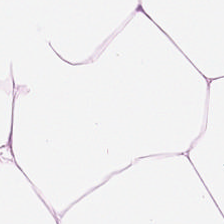Hematoxylin-and-eosin section: fat tissue.
